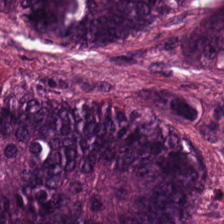H&E-stained tissue section; 224×224 pixel tile — The tissue type is tumor epithelium.
